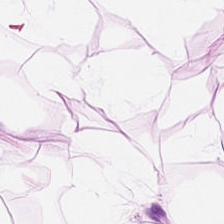H&E-stained tissue section. Q: What is shown in this field?
A: The field shows adipose tissue.
